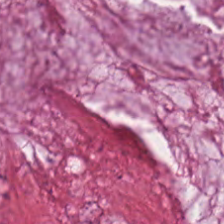H&E.
This patch shows mucin.
